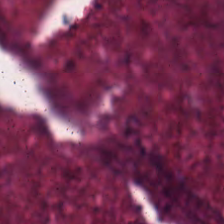Hematoxylin and eosin. Predominantly debris.
